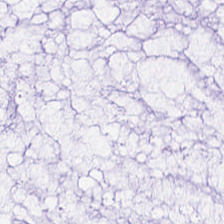Formalin-fixed paraffin-embedded section · hematoxylin-and-eosin stained section. Q: What is shown in this field?
A: This is mucin.
